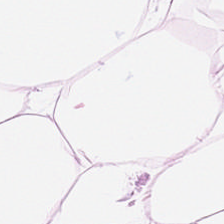Stain: hematoxylin and eosin.
Tissue: adipose tissue.
